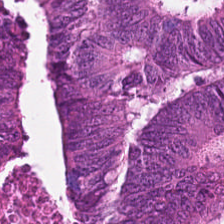Showing malignant epithelium.
